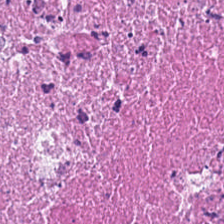Hematoxylin-and-eosin stained section — Q: What is the predominant tissue type?
A: It is cellular debris.
